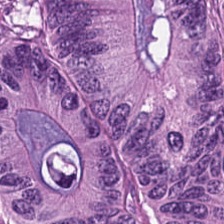H&E-stained tissue section.
Colorectal adenocarcinoma epithelium.
